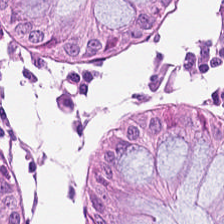H&E-stained tissue section. Q: Classify this patch.
A: Normal colon mucosa.
